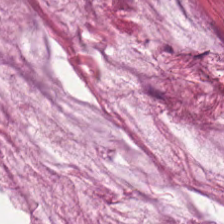224×224 pixel tile; FFPE tissue section; hematoxylin and eosin.
This patch shows mucin.
